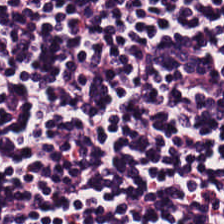The predominant tissue is lymphoid infiltrate.
